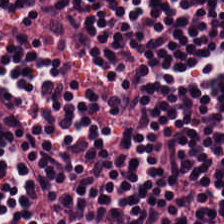H&E; formalin-fixed paraffin-embedded section; 0.5 µm per pixel. Impression → lymphocytes.
